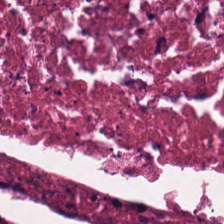Hematoxylin and eosin — Showing necrotic debris.
